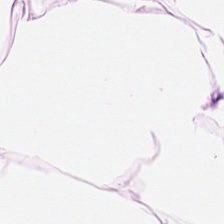This field is fat tissue.
